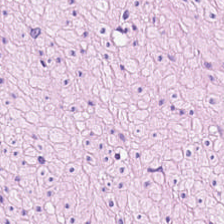H&E-stained tissue section. The predominant tissue is muscularis.
